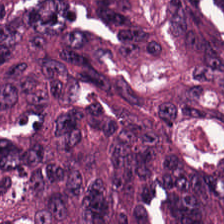Hematoxylin and eosin. 224×224 px tile. FFPE tissue section — Q: Classify this patch.
A: This is adenocarcinoma.
